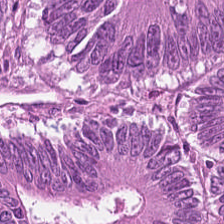Hematoxylin-and-eosin stained section.
Tissue class: adenocarcinoma.
